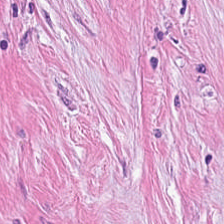Formalin-fixed paraffin-embedded section; hematoxylin-and-eosin stained section; 224×224 pixel tile — Q: Classify this patch.
A: Tumor-associated stroma.
